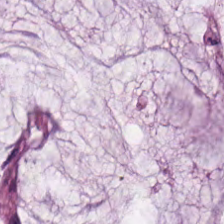Q: What tissue type is shown here?
A: This is mucin.
